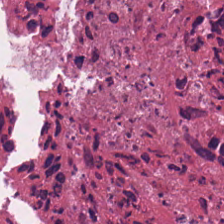Stain: hematoxylin and eosin.
Predominant tissue: debris.
